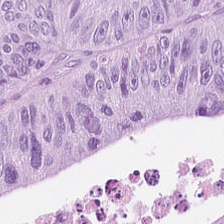H&E; formalin-fixed paraffin-embedded section.
The tissue here is malignant epithelium.
